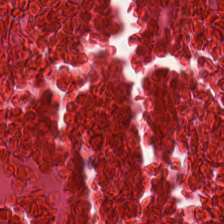Showing cellular debris.
